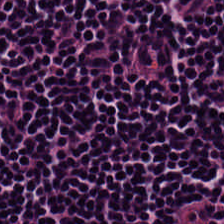Hematoxylin and eosin.
Q: What type of tissue is this?
A: The field shows lymphocyte aggregate.
